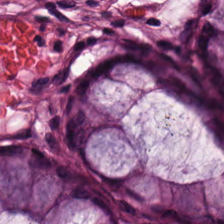H&E — Q: What tissue is shown?
A: This is benign colonic mucosa.
